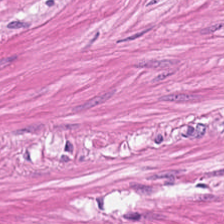Q: What type of tissue is this?
A: It is smooth muscle.
